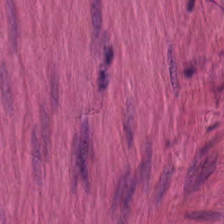Q: What tissue type is shown here?
A: Smooth muscle.
